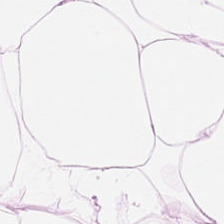0.5 microns per pixel; hematoxylin and eosin; whole-slide-image patch — Q: What is the predominant tissue type?
A: This is adipocytes.
